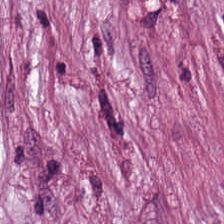H&E stain · FFPE tissue section · 224×224 pixel tile. Classification: tumor stroma.
